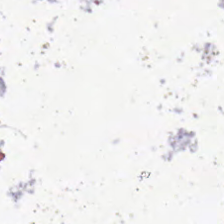Q: What is shown here?
A: Background.
